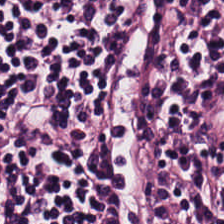WSI patch · 0.5 µm per pixel · hematoxylin and eosin — Lymphocyte aggregate.
